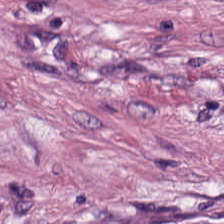Q: What tissue type is shown here?
A: This is desmoplastic stroma.
